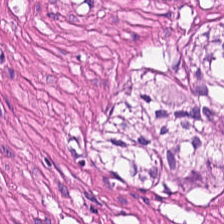Predominant tissue — smooth muscle.
